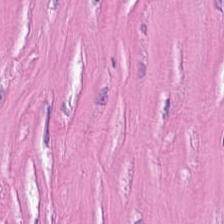This field is tumor stroma.
